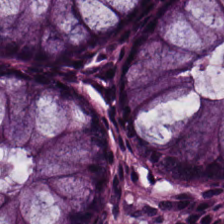FFPE tissue section. H&E.
This field is normal colonic mucosa.
